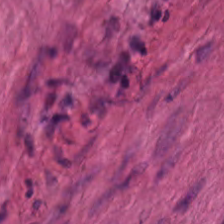The tissue here is smooth muscle.
